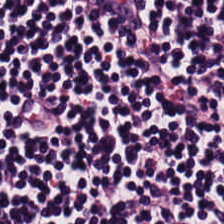Stain: hematoxylin-and-eosin stained section.
Resolution: 20× equivalent magnification.
Tissue: lymphocytes.
